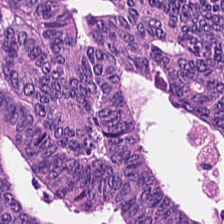H&E stain. Whole-slide-image patch. 0.5 microns per pixel — Predominant tissue — colorectal adenocarcinoma epithelium.
